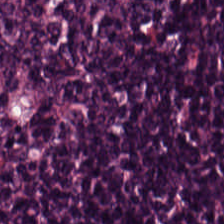Finding → lymphocyte aggregate.
